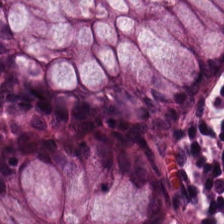20× equivalent magnification. Hematoxylin and eosin — Q: What is shown in this field?
A: This is benign colonic mucosa.
